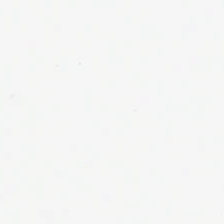FFPE. Hematoxylin and eosin. Whole-slide-image patch.
Background — no tissue in this field.
